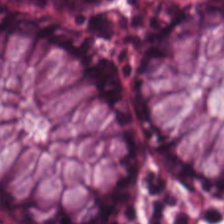H&E-stained tissue section · 20× equivalent magnification. Benign colonic mucosa.
